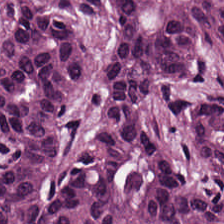H&E stain. {"tissue_type": "adenocarcinoma"}
